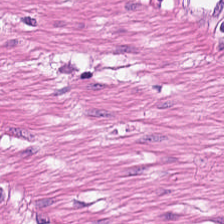FFPE · H&E stain. The predominant tissue is smooth muscle.
